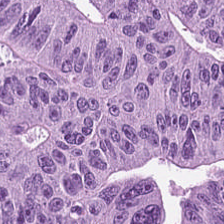{"tissue_type": "colorectal adenocarcinoma"}
